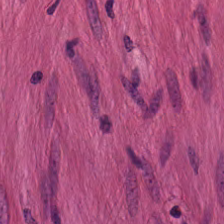Hematoxylin and eosin. WSI patch — Impression — smooth muscle.
